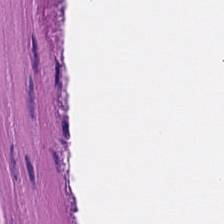Stain: hematoxylin and eosin.
Resolution: 0.5 microns per pixel.
Tissue class: muscularis.
